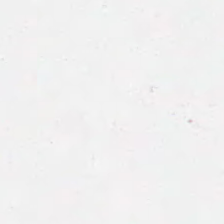Hematoxylin-and-eosin stained section. This patch shows empty background.
